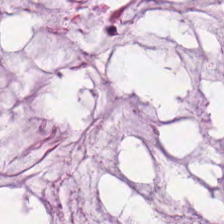H&E. Classification = extracellular mucin.
